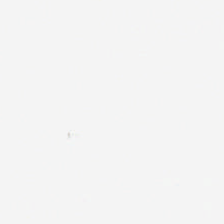Hematoxylin-and-eosin stained section.
The field content is background (no tissue).
